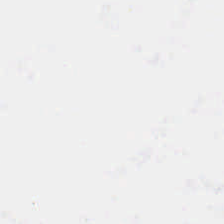Field content = empty background.
